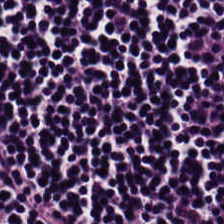The tissue type is lymphoid infiltrate.
